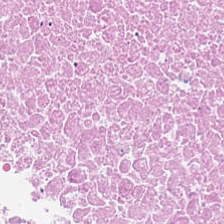Q: Identify the tissue.
A: The field shows debris.
